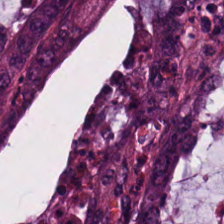Hematoxylin-and-eosin section: tumor epithelium.
